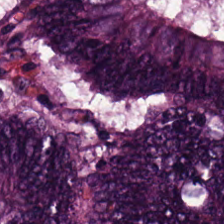20× equivalent magnification. Hematoxylin-and-eosin stained section. Tissue class — adenocarcinoma.
